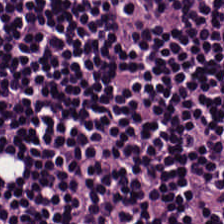H&E.
Tissue class: lymphocytic infiltrate.
